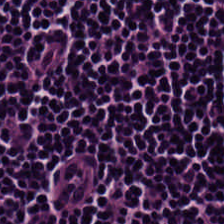Lymphocyte aggregate.
